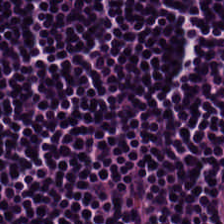Brightfield microscopy; H&E; 224×224 px tile.
This field is lymphocyte aggregate.
